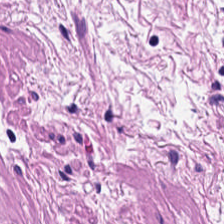H&E stain. 0.5 µm/px — This field is smooth-muscle tissue.
